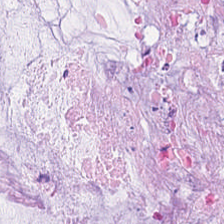H&E — The predominant tissue is mucin.
